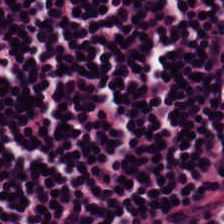H&E — Q: What tissue is shown?
A: Lymphocytic infiltrate.
